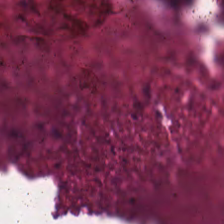The predominant tissue is debris.
